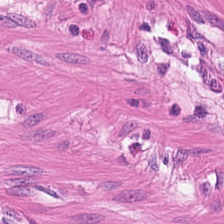H&E stain. Q: What type of tissue is this?
A: It is smooth muscle.
